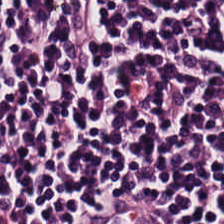Hematoxylin and eosin.
Tissue class: lymphocytic infiltrate.
